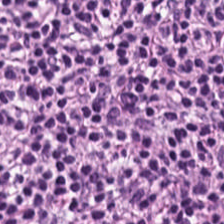H&E — Tissue type: lymphocyte aggregate.
